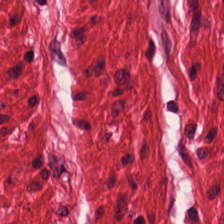Brightfield microscopy. Hematoxylin-and-eosin stained section.
Tissue class — smooth-muscle tissue.
